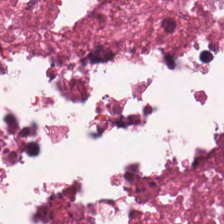H&E-stained tissue section.
Finding — necrotic debris.
